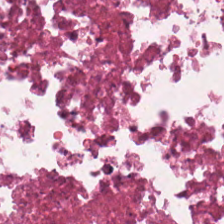20× equivalent magnification. Hematoxylin-and-eosin stained section.
{"tissue_type": "necrotic debris"}
